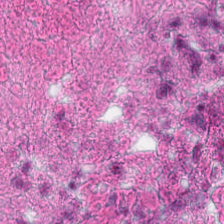Hematoxylin and eosin. Formalin-fixed paraffin-embedded section.
Predominantly debris.
